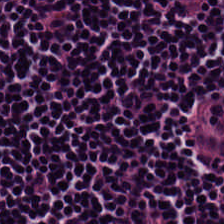H&E.
Histology — lymphocytic infiltrate.
